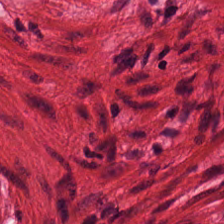Hematoxylin and eosin · 0.5 µm per pixel.
This field is muscularis.
